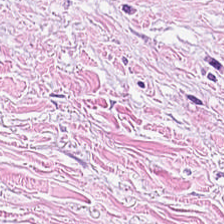Hematoxylin-and-eosin stained section · whole-slide-image patch. This patch shows tumor stroma.
